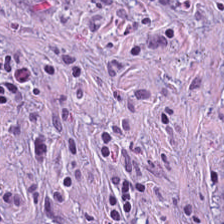Stain: hematoxylin-and-eosin stained section.
Preparation: FFPE tissue section.
Tile size: 224×224 px tile.
Predominant tissue: desmoplastic stroma.
